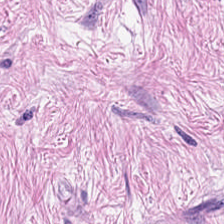0.5 µm per pixel. H&E stain. Impression — desmoplastic stroma.
